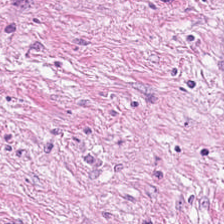Formalin-fixed paraffin-embedded section. H&E.
Histology — tumor-associated stroma.
